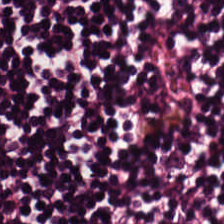H&E-stained tissue section · brightfield microscopy. This field is lymphocyte aggregate.
